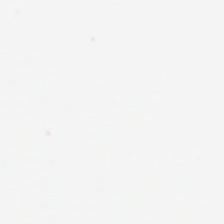WSI patch · H&E · 224×224 pixel tile. Field content — empty background.
